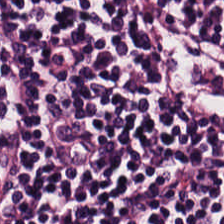Hematoxylin-and-eosin stained section.
{"tissue_type": "lymphocytes"}
